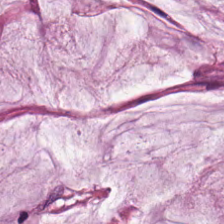Hematoxylin and eosin — Extracellular mucin.
